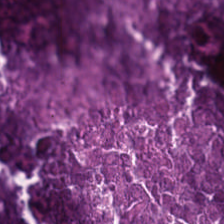H&E — Tissue: cellular debris.
